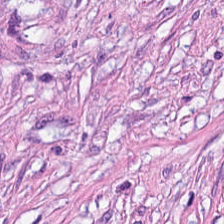Hematoxylin and eosin. 0.5 µm per pixel.
This field is cancer-associated stroma.
